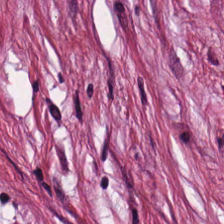Stain: H&E.
Tile size: 224×224 px patch.
Resolution: 20× equivalent magnification.
Predominant tissue: tumor stroma.
